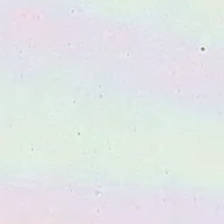Field content: background.
